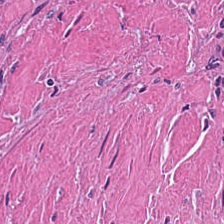Stain: H&E stain.
Resolution: 0.5 µm/px.
Acquisition: WSI patch.
Predominant tissue: necrotic debris.
